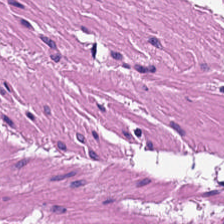H&E stain.
Predominantly muscularis.
